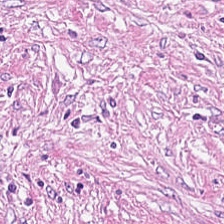This field is cancer-associated stroma.
